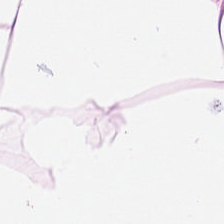Hematoxylin-and-eosin stained section. Brightfield microscopy. 0.5 microns per pixel.
Tissue class = adipose tissue.
